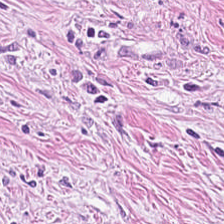Hematoxylin-and-eosin stained section — Classification — tumor-associated stroma.
